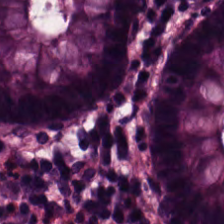H&E-stained tissue section — The predominant tissue is non-neoplastic colon mucosa.
